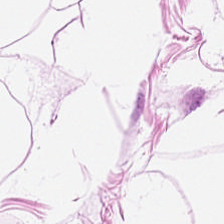224×224 px patch. Hematoxylin and eosin. 0.5 µm per pixel. Impression — fat tissue.
